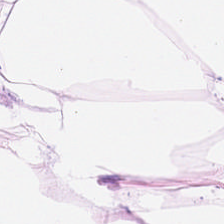H&E — adipocytes.
